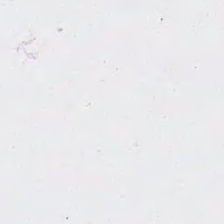H&E-stained tissue section. Impression — no tissue.
